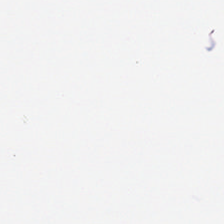This patch shows no tissue.
